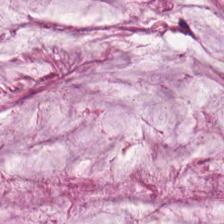The tissue class is extracellular mucin.
